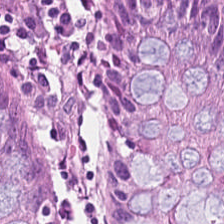224×224 pixel tile; H&E stain. Finding — normal colon mucosa.
